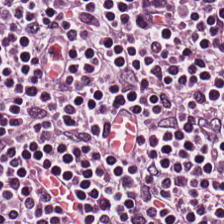H&E. The predominant tissue is lymphoid infiltrate.
